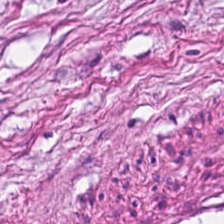0.5 microns per pixel · FFPE · hematoxylin and eosin.
This patch shows tumor-associated stroma.
